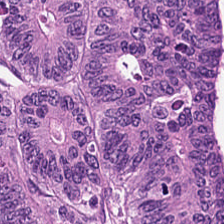H&E. Brightfield. 0.5 µm/px.
This field is adenocarcinoma.
